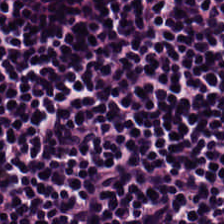H&E-stained tissue section. Tissue — lymphocytic infiltrate.
